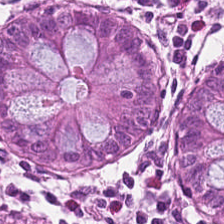Hematoxylin and eosin.
Predominantly benign colonic mucosa.
